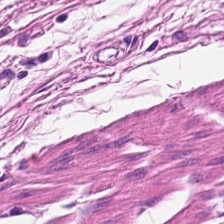Q: What is shown here?
A: It is smooth-muscle tissue.
